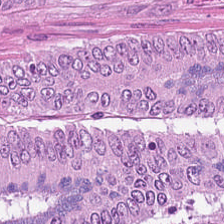Q: What tissue is shown?
A: It is colorectal adenocarcinoma.
